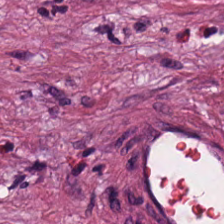Predominant tissue = tumor-associated stroma.
